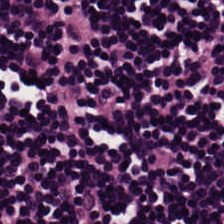Hematoxylin and eosin — {"tissue_type": "lymphocyte aggregate"}
